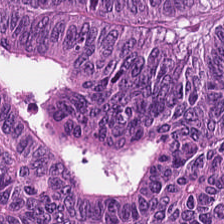H&E.
Predominantly colorectal adenocarcinoma epithelium.
